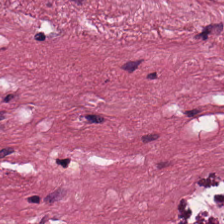H&E. The tissue class is tumor-associated stroma.
